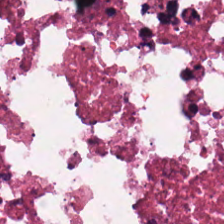Hematoxylin-and-eosin stained section.
Predominant tissue — debris.
